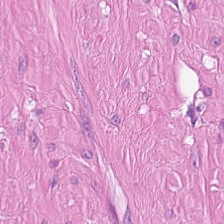20× equivalent magnification; H&E.
Showing muscularis.
